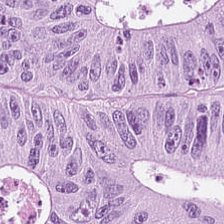Stain: H&E-stained tissue section.
Resolution: 0.5 µm/px.
Tissue: colorectal adenocarcinoma epithelium.
